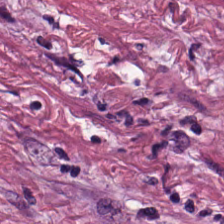H&E · 224×224 px patch — Predominant tissue = tumor stroma.
